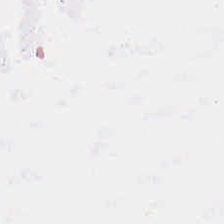Background — no tissue in this field.
